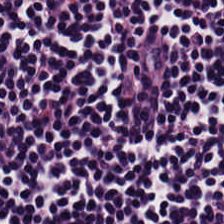Brightfield · H&E · formalin-fixed paraffin-embedded section. Tissue type: lymphoid infiltrate.
